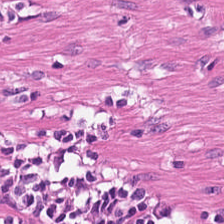{"tissue_type": "smooth-muscle tissue"}
